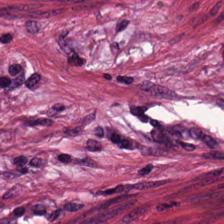H&E; FFPE; 224×224 pixel tile. Predominant tissue: desmoplastic stroma.
